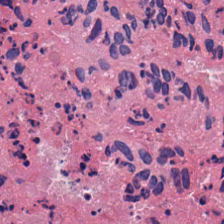H&E stain. Finding — necrotic debris.
